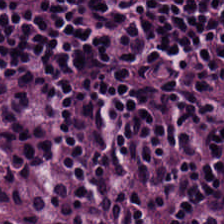Whole-slide-image patch · hematoxylin and eosin — Tissue type: lymphocytic infiltrate.
